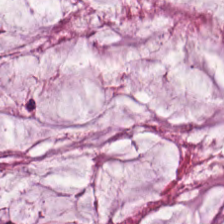Classification: mucin.
